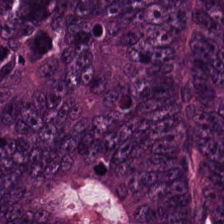The tissue is malignant epithelium.
